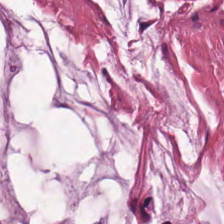H&E — Histology — mucin.
